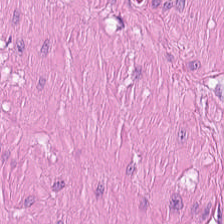H&E stain.
This patch shows smooth-muscle tissue.
